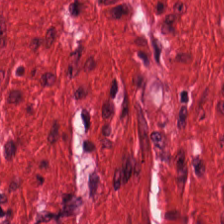224×224 px tile; 0.5 µm/px; hematoxylin-and-eosin stained section. Tissue: smooth-muscle tissue.
